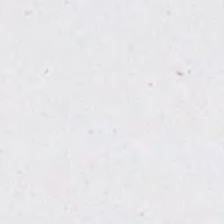H&E-stained tissue section; formalin-fixed paraffin-embedded section.
No tissue present; background only.
